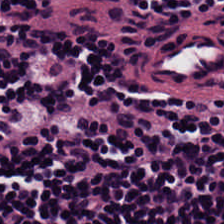H&E stain — Q: What is the predominant tissue type?
A: This is lymphoid infiltrate.
